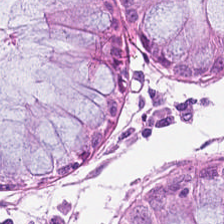Formalin-fixed paraffin-embedded section; 224×224 px patch; H&E stain.
Q: What does this patch show?
A: This is non-neoplastic colon mucosa.
